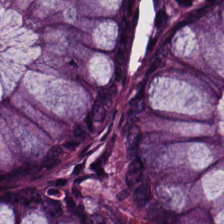Histology → non-neoplastic colon mucosa.
